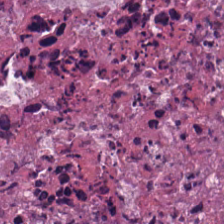Hematoxylin and eosin; whole-slide-image patch; 224×224 px patch — Debris.
